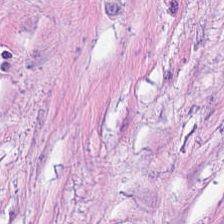Hematoxylin and eosin. The predominant tissue is tumor stroma.
